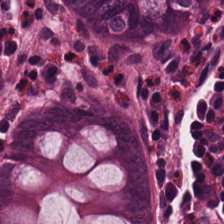H&E stain — This field is normal colon mucosa.
